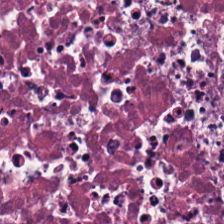Stain: hematoxylin-and-eosin stained section.
Resolution: 20× equivalent magnification.
Tissue class: necrotic debris.
